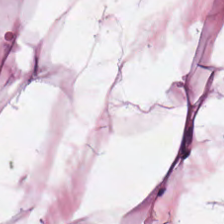Stain: hematoxylin-and-eosin stained section.
Tissue: adipose tissue.
